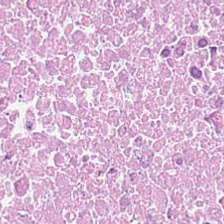Hematoxylin and eosin — The predominant tissue is cellular debris.
